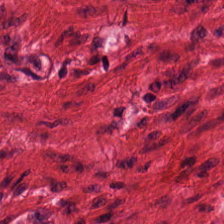Stain: H&E.
Predominant tissue: smooth-muscle tissue.
